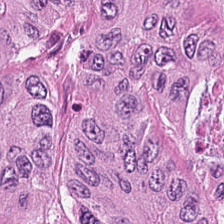Formalin-fixed paraffin-embedded section. Whole-slide-image patch. H&E — Impression — colorectal adenocarcinoma.
